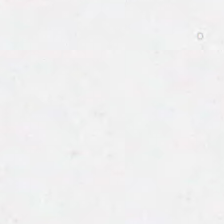Hematoxylin and eosin.
Background — no tissue in this field.
